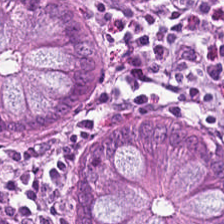H&E stain — Q: What is shown in this field?
A: The field shows non-neoplastic colon mucosa.
